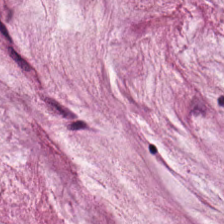H&E-stained tissue section showing extracellular mucin.
